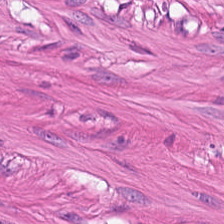H&E-stained tissue section — Tissue type — smooth-muscle tissue.
